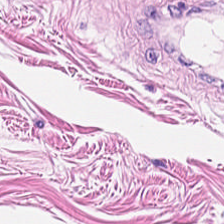Stain: H&E stain.
Resolution: 0.5 microns per pixel.
Tissue class: smooth-muscle tissue.
